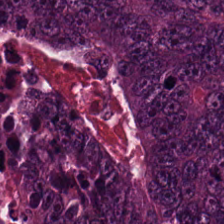Hematoxylin and eosin.
Tissue type: colorectal adenocarcinoma.
